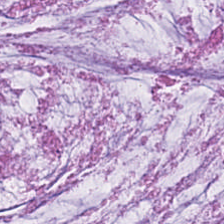Tissue type — mucus.
